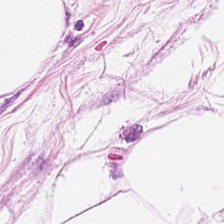H&E stain; formalin-fixed paraffin-embedded section — This patch shows fat tissue.
